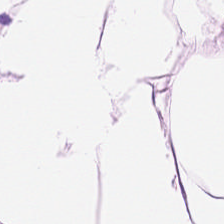Hematoxylin and eosin. This field is adipose.
